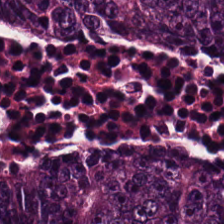0.5 microns per pixel; hematoxylin and eosin — The tissue here is colorectal adenocarcinoma.
